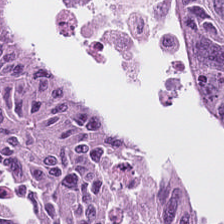Stain: H&E.
Predominant tissue: colorectal adenocarcinoma.
